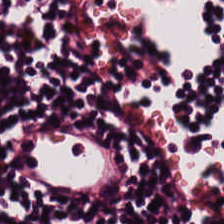Q: What type of tissue is this?
A: It is lymphoid infiltrate.
